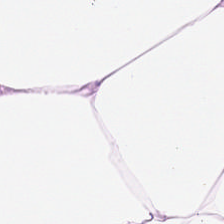H&E. Q: What is shown here?
A: This is adipose.
